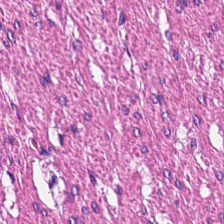H&E. The predominant tissue is muscularis.
